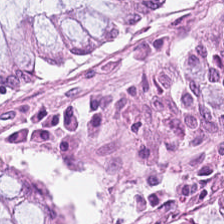Normal colonic mucosa.
